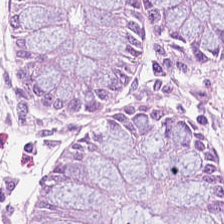0.5 microns per pixel · hematoxylin-and-eosin stained section · FFPE tissue section.
Histology → benign colonic mucosa.
